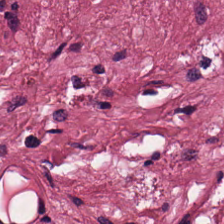Tissue type: tumor-associated stroma.
